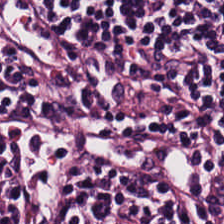224×224 pixel tile; H&E; FFPE tissue section. The predominant tissue is lymphocytic infiltrate.
